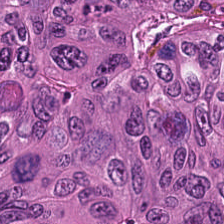0.5 microns per pixel. H&E-stained tissue section. Predominantly adenocarcinoma.
